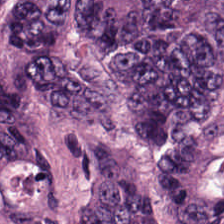H&E — malignant epithelium.
